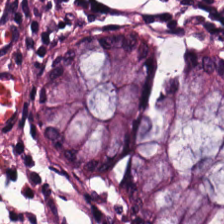224×224 px patch. H&E stain — Q: Classify this patch.
A: This is non-neoplastic colon mucosa.
